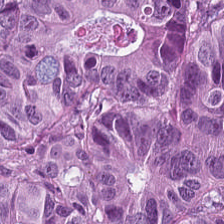Q: Classify this patch.
A: This is colorectal adenocarcinoma.
